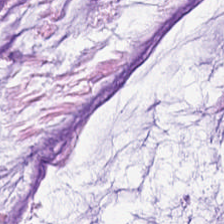H&E stain. 224×224 pixel tile. Finding — mucus.
